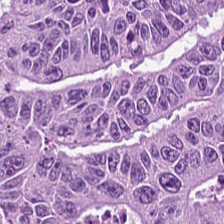Histology → colorectal adenocarcinoma epithelium.
